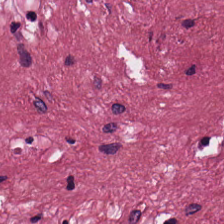H&E stain · FFPE.
This patch shows cancer-associated stroma.
